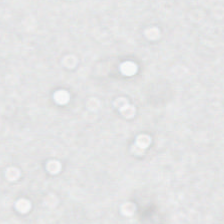Brightfield; hematoxylin and eosin.
Field content = no tissue.
